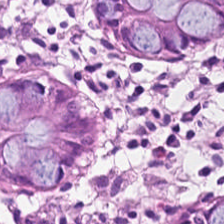H&E-stained tissue section.
Tissue type: benign colonic mucosa.
